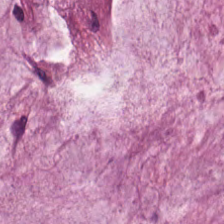H&E stain.
Q: Classify this patch.
A: The field shows extracellular mucin.
